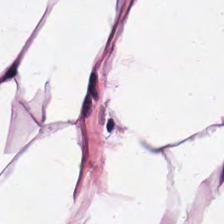Stain: H&E-stained tissue section.
Acquisition: brightfield.
Tissue type: adipose.
